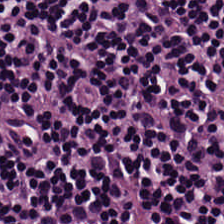This field is lymphocytic infiltrate.
